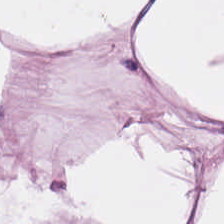0.5 µm/px · hematoxylin-and-eosin stained section. Showing adipose tissue.
